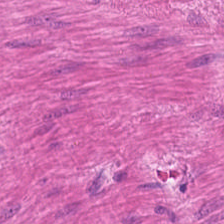224×224 px patch; hematoxylin-and-eosin stained section.
{"tissue_type": "smooth muscle"}
